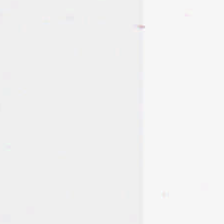H&E. The field content is no tissue.
